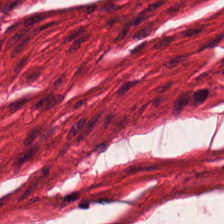H&E. FFPE tissue section. Whole-slide-image patch — Tissue type — smooth-muscle tissue.
